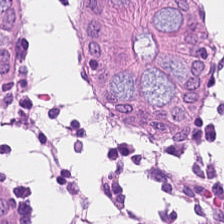0.5 microns per pixel · H&E-stained tissue section — Q: Classify this patch.
A: This is normal colon mucosa.
